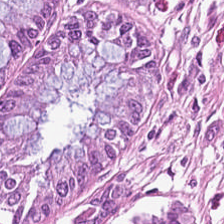H&E-stained tissue section. Predominant tissue = non-neoplastic colon mucosa.
